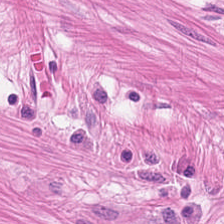Stain: H&E.
Predominant tissue: smooth-muscle tissue.
